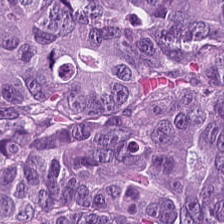Hematoxylin and eosin. 0.5 µm per pixel.
This field is malignant epithelium.
